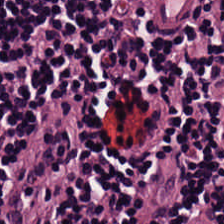H&E stain; 224×224 pixel tile.
Predominantly lymphocytes.
